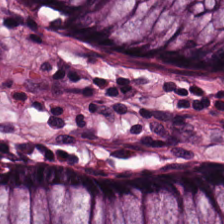Brightfield microscopy; hematoxylin and eosin; 0.5 µm per pixel — Predominant tissue: normal colonic mucosa.
